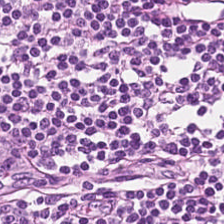H&E-stained tissue section — Predominant tissue = lymphocytes.
